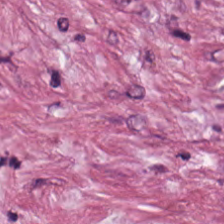H&E stain.
Predominant tissue: tumor stroma.
